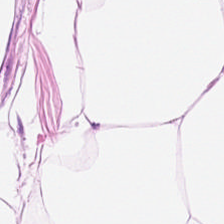224×224 px tile; H&E-stained tissue section; FFPE tissue section. This patch shows fat tissue.
